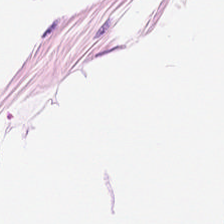H&E. This field is adipose tissue.
